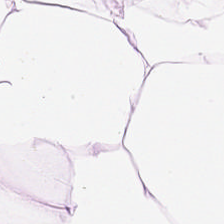H&E.
Classification = adipose.
